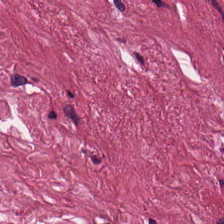H&E-stained tissue section. This field is cancer-associated stroma.
